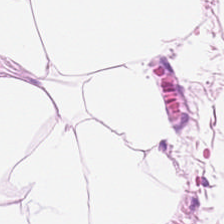224×224 px patch · H&E-stained tissue section. Predominantly adipose tissue.
